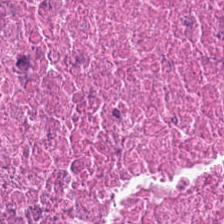H&E stain — Tissue class: cellular debris.
